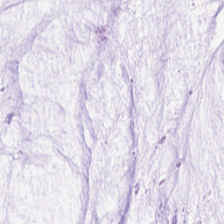{"tissue_type": "extracellular mucin"}
